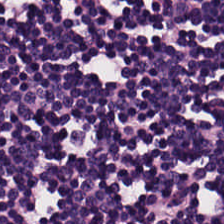Histology — lymphocytes.
